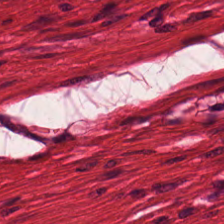The tissue here is smooth muscle.
